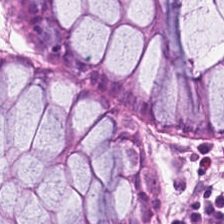Showing normal colon mucosa.
